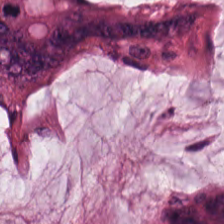0.5 µm/px; H&E-stained tissue section. The tissue type is extracellular mucin.
